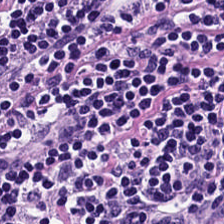Hematoxylin and eosin.
Showing lymphoid infiltrate.
